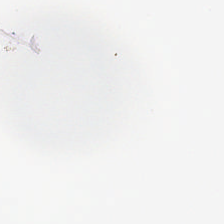224×224 px tile. FFPE tissue section. H&E — Background (no tissue).
